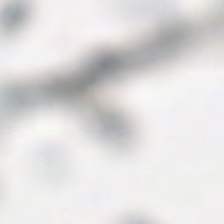Hematoxylin and eosin · 0.5 µm per pixel · 224×224 px tile.
Q: What is shown in this field?
A: It is empty background.
